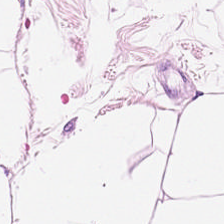H&E — fat tissue.
